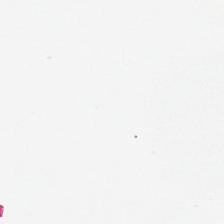H&E.
Field content = no tissue.
